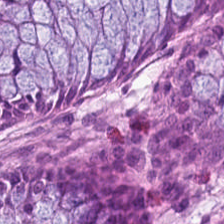H&E — normal colonic mucosa.
